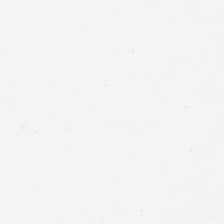Empty background.
